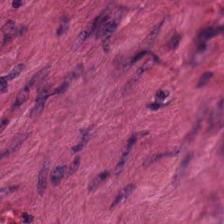Smooth muscle.
